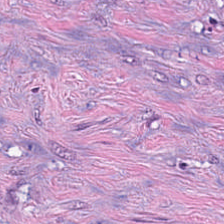Formalin-fixed paraffin-embedded section. Hematoxylin and eosin.
This patch shows desmoplastic stroma.
